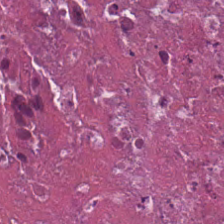H&E-stained tissue section.
Tissue type — necrotic debris.
